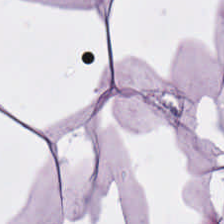Stain: H&E.
Tissue: adipose tissue.
